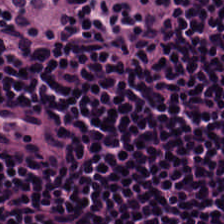Impression → lymphoid infiltrate.
